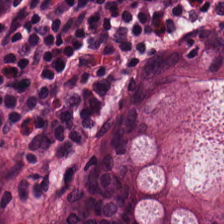H&E — Tissue class — normal colon mucosa.
